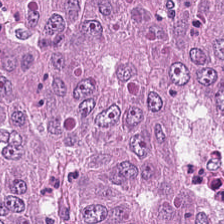224×224 px tile · H&E-stained tissue section · FFPE. The predominant tissue is colorectal adenocarcinoma.
